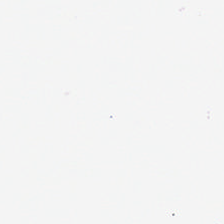H&E stain. Q: What is shown in this field?
A: It is empty background.
